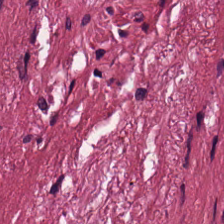Hematoxylin and eosin.
Tissue type = tumor stroma.
